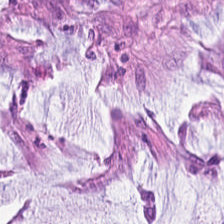FFPE. H&E-stained tissue section.
Tissue class: mucin.
